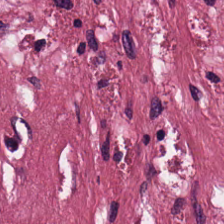Stain: H&E-stained tissue section.
Resolution: 0.5 microns per pixel.
Tile size: 224×224 pixel tile.
Classification: cancer-associated stroma.
